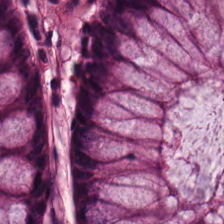H&E-stained tissue section.
Q: What type of tissue is this?
A: It is normal colonic mucosa.
